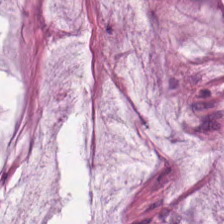FFPE · brightfield · H&E stain.
{"tissue_type": "mucus"}
